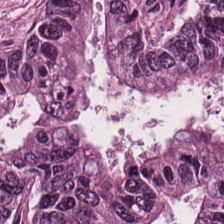FFPE tissue section · H&E-stained tissue section — Predominant tissue — adenocarcinoma.
